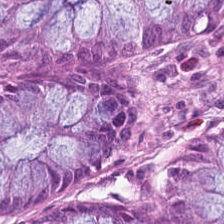Q: What does this patch show?
A: The field shows non-neoplastic colon mucosa.
